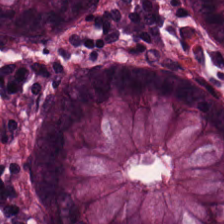Hematoxylin and eosin. 224×224 px tile. The predominant tissue is non-neoplastic colon mucosa.
